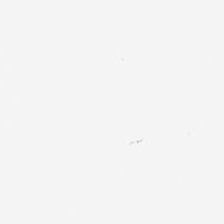H&E-stained tissue section — Histology → background.
